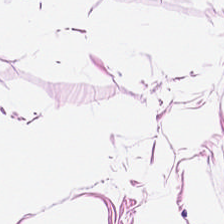Stain: hematoxylin and eosin.
Acquisition: whole-slide-image patch.
Resolution: 0.5 µm per pixel.
Predominant tissue: adipocytes.
